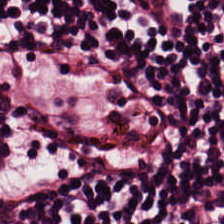Brightfield microscopy; H&E stain.
Tissue type — lymphocytes.
